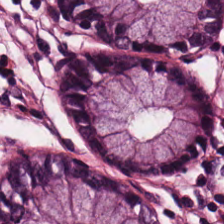{"tissue_type": "normal colon mucosa"}
